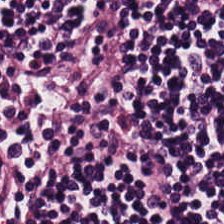Tissue class — lymphocytes.
